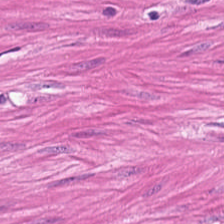H&E stain. Formalin-fixed paraffin-embedded section. 0.5 microns per pixel.
Tissue class — smooth-muscle tissue.
